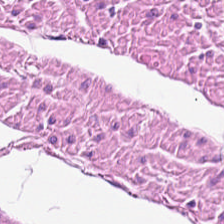This field is smooth-muscle tissue.
